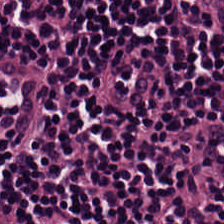Formalin-fixed paraffin-embedded section. Hematoxylin and eosin. WSI patch. Classification: lymphocytic infiltrate.
